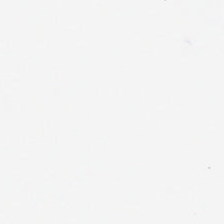H&E stain — Q: What is shown in this field?
A: This is background.
